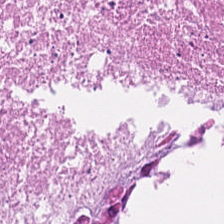Histology — debris.
